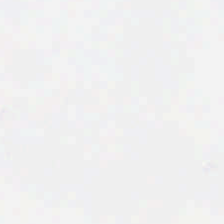Hematoxylin and eosin — Empty field — empty background.
